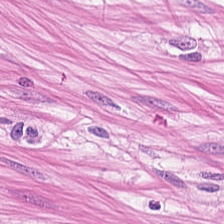Q: What is the predominant tissue type?
A: This is muscularis.
